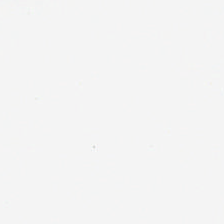H&E-stained tissue section — Background (no tissue).
